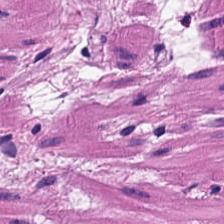H&E · whole-slide-image patch — Q: What is the predominant tissue type?
A: Muscularis.
